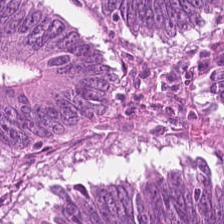Hematoxylin-and-eosin stained section. 224×224 pixel tile.
This field is malignant epithelium.
